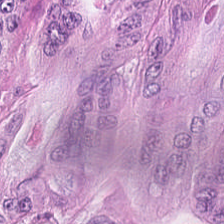H&E.
Tissue: adenocarcinoma.
